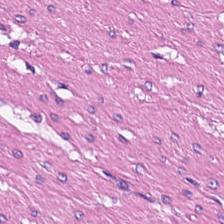FFPE · H&E stain — Predominant tissue = smooth muscle.
